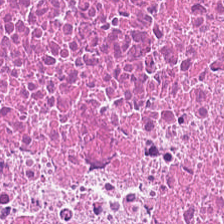Stain: H&E stain.
Tissue type: debris.
